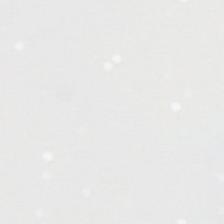FFPE tissue section; hematoxylin and eosin. Content: background (no tissue).
